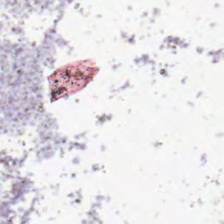0.5 microns per pixel · FFPE · hematoxylin and eosin. This patch shows no tissue.
